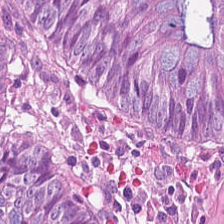Stain: hematoxylin and eosin.
Tissue: adenocarcinoma.
